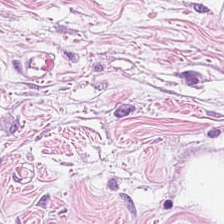{"tissue_type": "adipose"}
